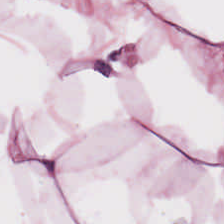Stain: hematoxylin-and-eosin stained section.
Tile size: 224×224 px patch.
Resolution: 20× equivalent magnification.
Tissue type: fat tissue.
